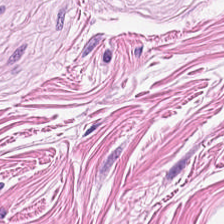Hematoxylin-and-eosin stained section. The tissue here is smooth muscle.
